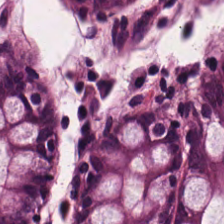The tissue class is benign colonic mucosa.
